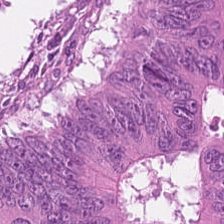Q: What is shown here?
A: The field shows adenocarcinoma.
